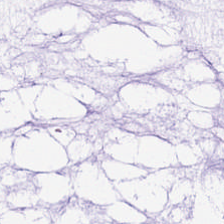Hematoxylin-and-eosin stained section. Classification = mucin.
